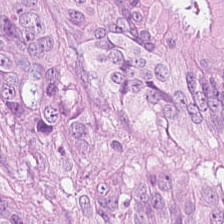Brightfield microscopy; H&E; 224×224 px patch. Tissue type: adenocarcinoma.
